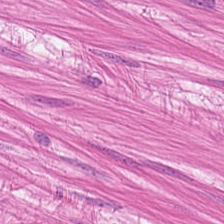Hematoxylin-and-eosin stained section; FFPE tissue section — This field is muscularis.
